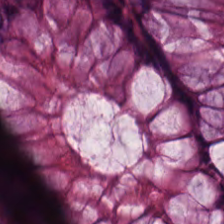Tissue: non-neoplastic colon mucosa.
